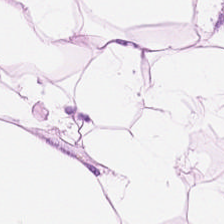0.5 µm/px; whole-slide-image patch; H&E-stained tissue section.
{"tissue_type": "adipose"}
